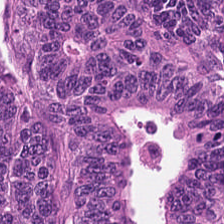H&E-stained tissue section showing tumor epithelium.
